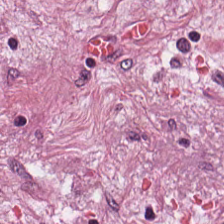Hematoxylin-and-eosin stained section · 224×224 pixel tile.
The predominant tissue is tumor-associated stroma.
